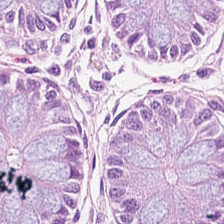H&E.
Q: What is the predominant tissue type?
A: Benign colonic mucosa.
